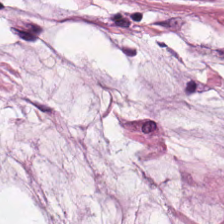Hematoxylin and eosin.
Q: What is the predominant tissue type?
A: The field shows mucin.
